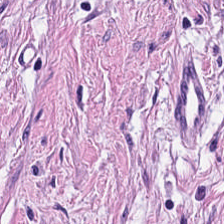This field is smooth-muscle tissue.
